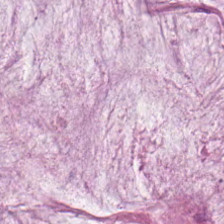H&E-stained tissue section.
{"tissue_type": "mucin"}
